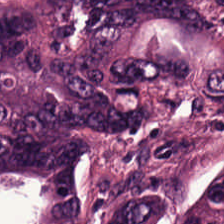H&E.
The classification is tumor epithelium.
